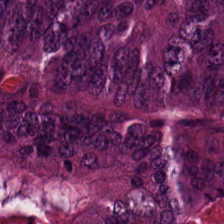224×224 pixel tile. Hematoxylin and eosin. Brightfield microscopy.
This patch shows malignant epithelium.
